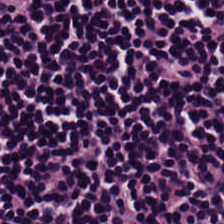FFPE tissue section. Hematoxylin and eosin. Brightfield — This field is lymphocyte aggregate.
